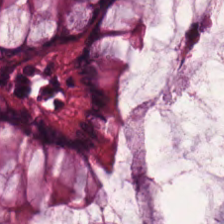224×224 pixel tile · H&E stain · 0.5 µm/px.
Q: What is shown here?
A: This is normal colon mucosa.
